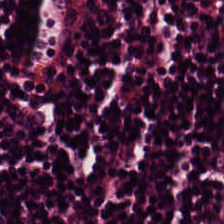Hematoxylin-and-eosin stained section — Lymphocytes.
